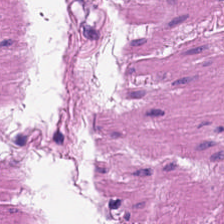Hematoxylin and eosin.
Histology — muscularis.
